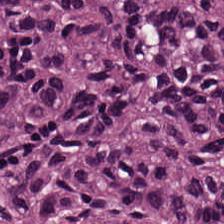Hematoxylin and eosin. Classification = malignant epithelium.
